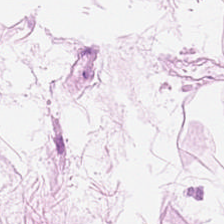H&E stain · 224×224 pixel tile. Q: Classify this patch.
A: Adipose tissue.
